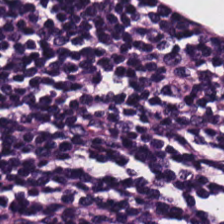Hematoxylin-and-eosin stained section · 224×224 px tile. Classification — lymphocytic infiltrate.
